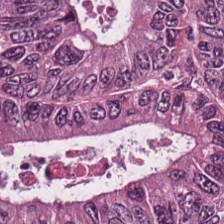Hematoxylin-and-eosin stained section — Q: What is the predominant tissue type?
A: The field shows tumor epithelium.
